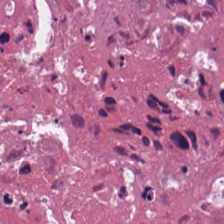Hematoxylin-and-eosin stained section.
Q: What is shown here?
A: This is necrotic debris.
